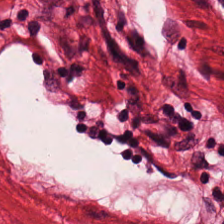H&E-stained tissue section; FFPE — Impression — muscularis.
